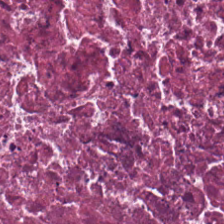The tissue type is necrotic debris.
